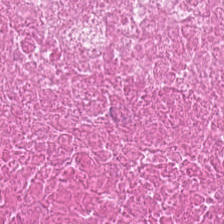H&E patch showing cellular debris.
